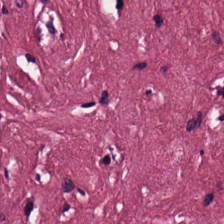H&E-stained section; the field shows desmoplastic stroma.
